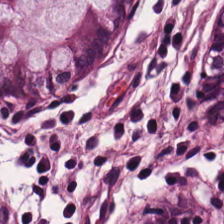Hematoxylin-and-eosin stained section · 0.5 µm/px · 224×224 px patch — Impression — non-neoplastic colon mucosa.
